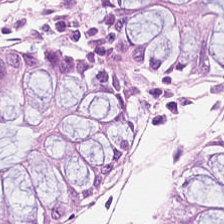Stain: H&E-stained tissue section.
Tissue type: normal colon mucosa.
